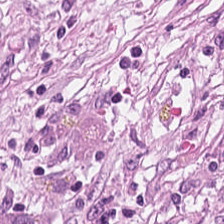Brightfield microscopy. H&E stain.
Q: What does this patch show?
A: Cancer-associated stroma.
